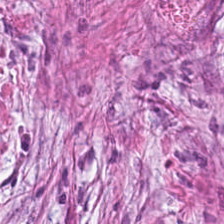Finding — tumor-associated stroma.
